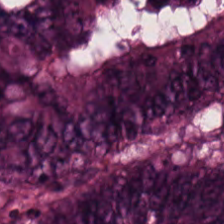Hematoxylin and eosin.
The tissue here is colorectal adenocarcinoma epithelium.
